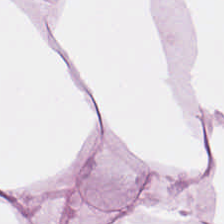Fat tissue.
